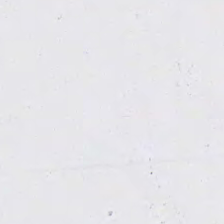No tissue present; background only.
